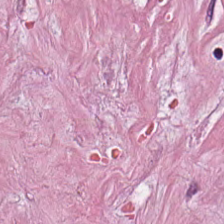0.5 microns per pixel · FFPE · H&E.
This patch shows desmoplastic stroma.
